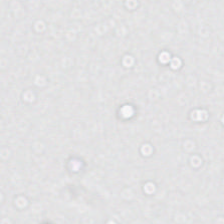H&E stain. No tissue.
